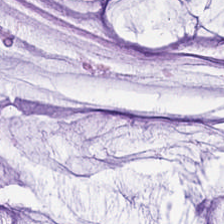Hematoxylin-and-eosin stained section. Q: What type of tissue is this?
A: The field shows extracellular mucin.
